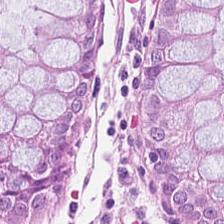Stain: hematoxylin and eosin.
Tile size: 224×224 px patch.
Tissue type: benign colonic mucosa.
